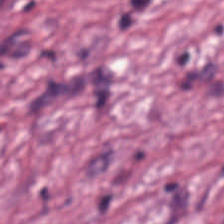H&E-stained tissue section showing tumor stroma.
